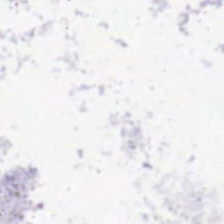Brightfield microscopy · H&E stain. Content: background.
